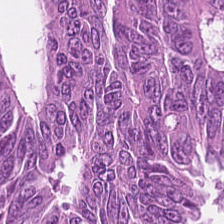H&E — Tissue — colorectal adenocarcinoma.
